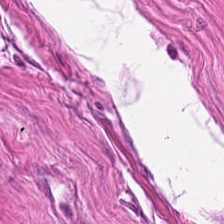Hematoxylin and eosin · 0.5 microns per pixel. Showing smooth-muscle tissue.
